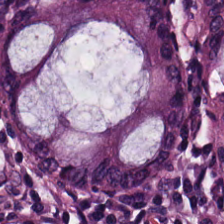H&E stain — Showing benign colonic mucosa.
